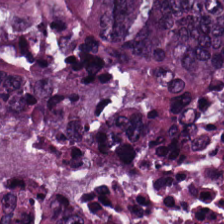The tissue class is colorectal adenocarcinoma.
